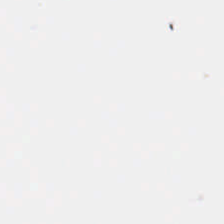H&E stain.
Finding — background (no tissue).
